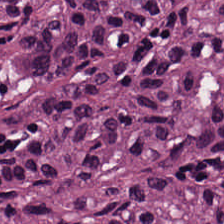H&E-stained tissue section.
The predominant tissue is tumor epithelium.
